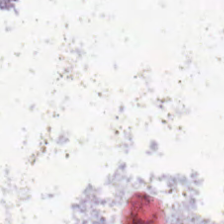No tissue present; background only.
